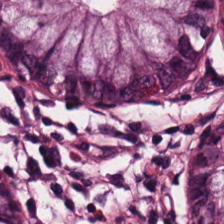Stain: H&E.
Tissue class: normal colonic mucosa.
